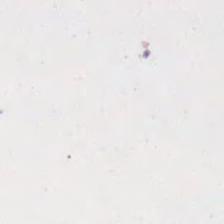Background — no tissue in this field.
